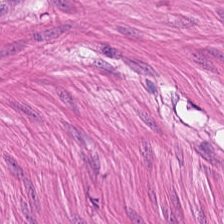Hematoxylin-and-eosin stained section — Q: Classify this patch.
A: This is smooth muscle.
